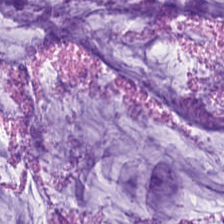Q: Classify this patch.
A: The field shows mucin.
